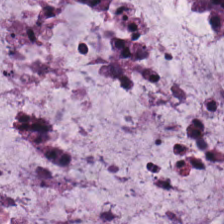Formalin-fixed paraffin-embedded section; H&E-stained tissue section; 0.5 µm/px. Mucin.
